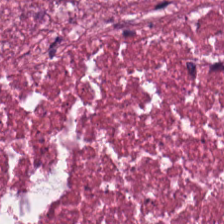H&E-stained tissue section; whole-slide-image patch.
The tissue here is cellular debris.
